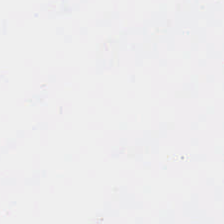Empty field — empty background.
